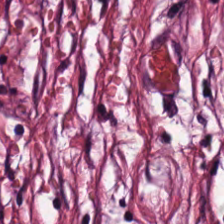Tissue type — tumor stroma.
